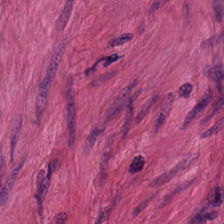0.5 µm/px. H&E stain. Predominantly smooth-muscle tissue.
